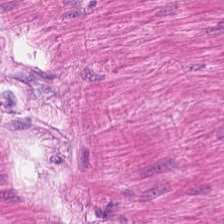20× equivalent magnification · H&E · 224×224 px patch — Finding — muscularis.
